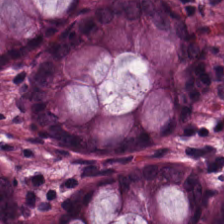Q: What tissue type is shown here?
A: It is normal colon mucosa.
